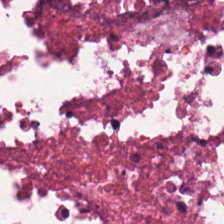{"tissue_type": "debris"}
